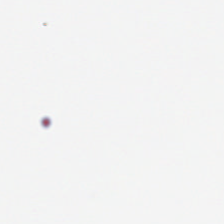Stain: hematoxylin and eosin.
Classification: empty background.
